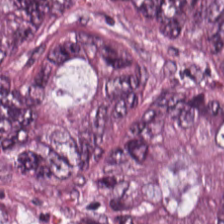Hematoxylin-and-eosin stained section.
This field is colorectal adenocarcinoma.
